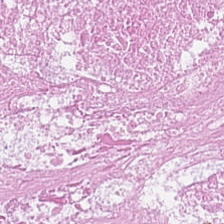Hematoxylin-and-eosin stained section.
Q: What is the predominant tissue type?
A: It is cellular debris.
